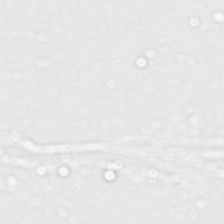Stain: H&E.
Content: empty background.
